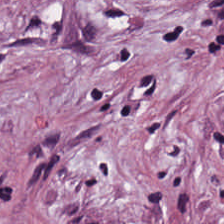H&E.
This field is tumor-associated stroma.
